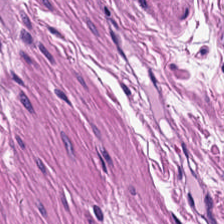Hematoxylin and eosin — Classification = muscularis.
